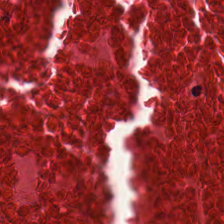H&E-stained tissue section. Necrotic debris.
